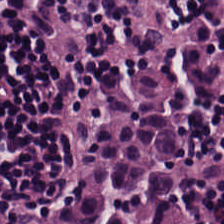Hematoxylin-and-eosin stained section — Tissue class: lymphocyte aggregate.
